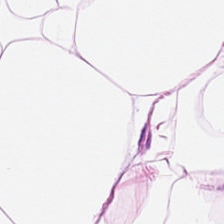Hematoxylin-and-eosin stained section · formalin-fixed paraffin-embedded section · whole-slide-image patch.
The tissue here is adipocytes.
